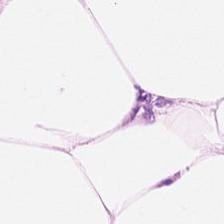H&E-stained tissue section · 224×224 pixel tile — Tissue class: fat tissue.
